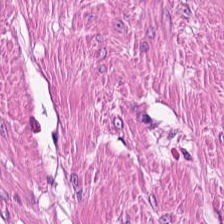H&E-stained tissue section — Showing smooth-muscle tissue.
